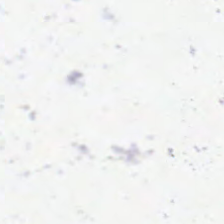Hematoxylin and eosin · 0.5 µm per pixel — Empty background.
